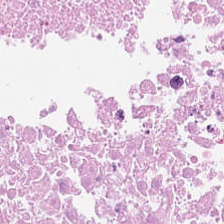Stain: H&E-stained tissue section.
Tissue: necrotic debris.
